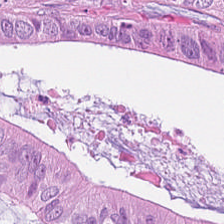Predominantly malignant epithelium.
